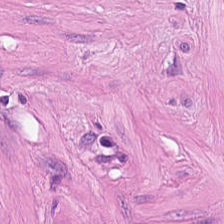Brightfield · H&E · formalin-fixed paraffin-embedded section. Tissue type: smooth-muscle tissue.
